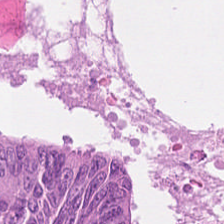Hematoxylin-and-eosin stained section.
Malignant epithelium.
